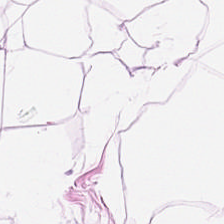H&E stain.
Finding → adipose tissue.
